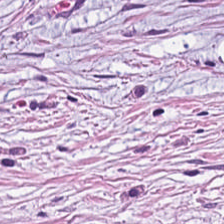WSI patch; hematoxylin-and-eosin stained section; formalin-fixed paraffin-embedded section. The classification is desmoplastic stroma.
